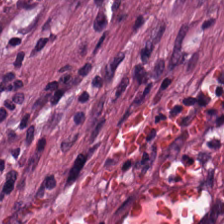The predominant tissue is cancer-associated stroma.
